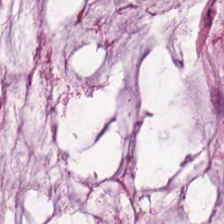Hematoxylin and eosin — This patch shows mucin.
